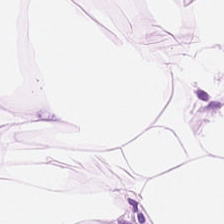Stain: H&E.
Tissue: adipose.
